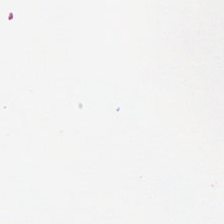Stain: H&E-stained tissue section.
Content: background (no tissue).
